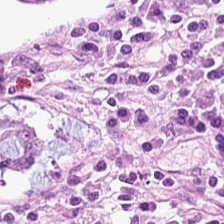H&E · 224×224 pixel tile — The tissue here is normal colonic mucosa.
